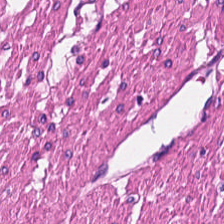Stain: H&E.
Classification: muscularis.
